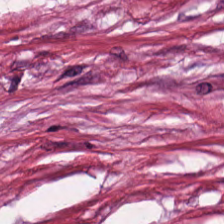Hematoxylin-and-eosin stained section. Predominantly tumor-associated stroma.
